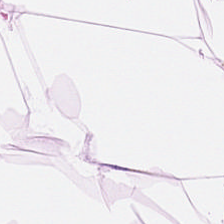H&E-stained tissue section.
This patch shows adipocytes.
